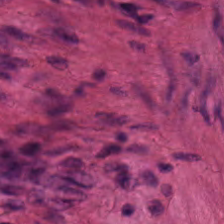H&E-stained tissue section — {"tissue_type": "smooth-muscle tissue"}
